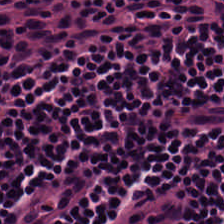Hematoxylin and eosin. Predominantly lymphocytic infiltrate.
